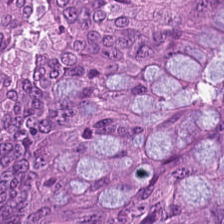Hematoxylin and eosin — Classification — tumor epithelium.
